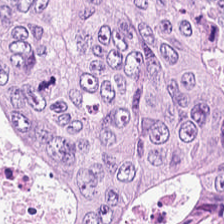Hematoxylin-and-eosin stained section.
This field is malignant epithelium.
